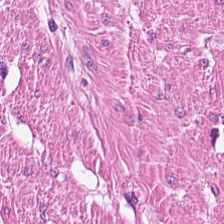Brightfield microscopy · 20× equivalent magnification · H&E-stained tissue section.
Impression → muscularis.
